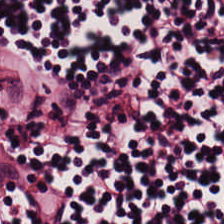Formalin-fixed paraffin-embedded section; H&E.
Showing lymphocytic infiltrate.
